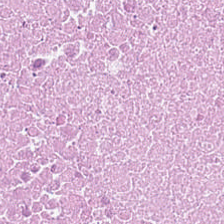H&E. 224×224 px patch — This field is cellular debris.
